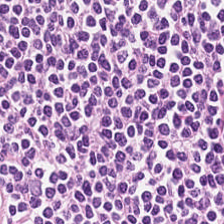Q: What is the predominant tissue type?
A: This is lymphocytes.
